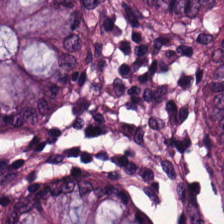H&E-stained tissue section — Tissue class: non-neoplastic colon mucosa.
